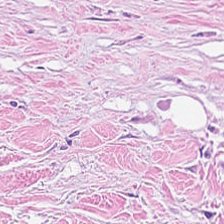Stain: H&E-stained tissue section.
Tissue class: tumor-associated stroma.
